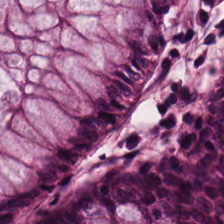Hematoxylin and eosin — Predominantly normal colon mucosa.
